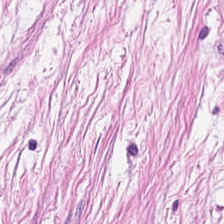Hematoxylin and eosin. Formalin-fixed paraffin-embedded section. This patch shows cancer-associated stroma.
